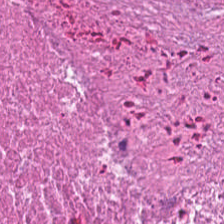Hematoxylin and eosin — Q: What does this patch show?
A: The field shows cellular debris.
